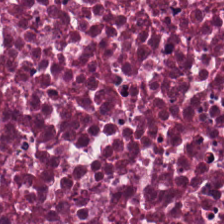Stain: H&E-stained tissue section.
Acquisition: brightfield.
Resolution: 0.5 µm/px.
Tissue type: debris.
